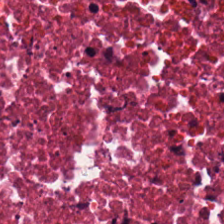H&E stain. FFPE. 20× equivalent magnification — Tissue type — debris.
